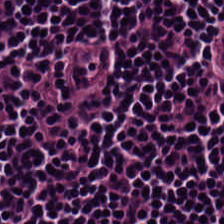H&E-stained tissue section · brightfield · 224×224 px tile — Q: What type of tissue is this?
A: It is lymphoid infiltrate.
